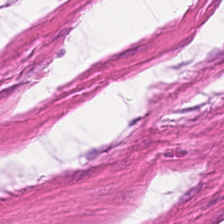Hematoxylin-and-eosin stained section. The predominant tissue is muscularis.
